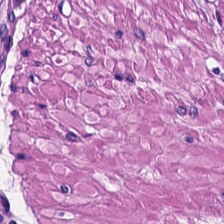H&E-stained tissue section. Histology → smooth-muscle tissue.
